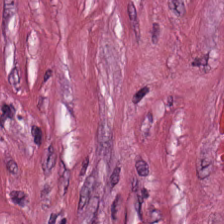Q: What type of tissue is this?
A: The field shows tumor stroma.
